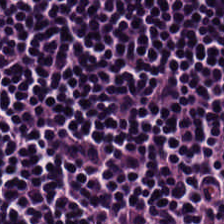Hematoxylin and eosin. Formalin-fixed paraffin-embedded section — Predominantly lymphocyte aggregate.
